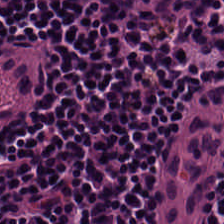H&E-stained tissue section — This patch shows lymphocytes.
